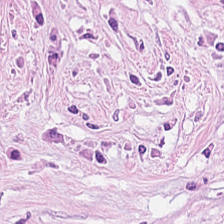Classification — desmoplastic stroma.
